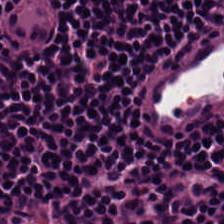Hematoxylin-and-eosin stained section — Predominant tissue — lymphoid infiltrate.
